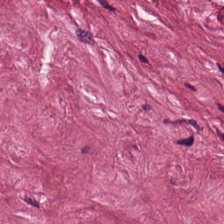Hematoxylin-and-eosin stained section; 0.5 µm/px; brightfield — Predominantly cancer-associated stroma.
